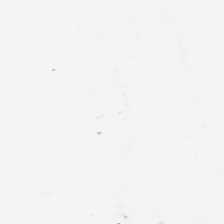Hematoxylin-and-eosin stained section · 224×224 px patch · brightfield microscopy. Finding — background.
